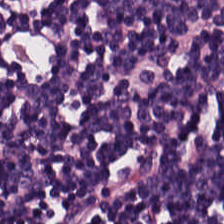H&E stain; brightfield — This field is lymphocytes.
